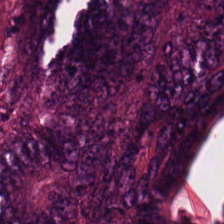Tissue — tumor epithelium.
